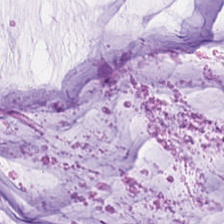224×224 px tile; hematoxylin-and-eosin stained section; WSI patch. Showing mucin.
